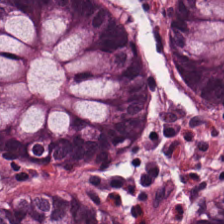Hematoxylin-and-eosin stained section.
Showing normal colonic mucosa.
